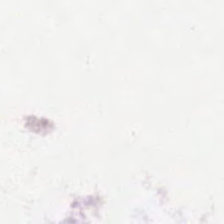Classification = no tissue.
